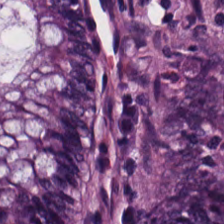H&E.
{"tissue_type": "benign colonic mucosa"}
